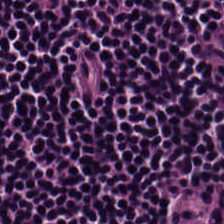Q: What is shown in this field?
A: Lymphocytic infiltrate.
